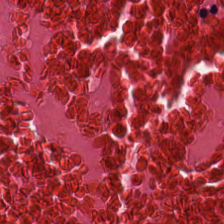Hematoxylin-and-eosin stained section — Q: Identify the tissue.
A: Debris.
